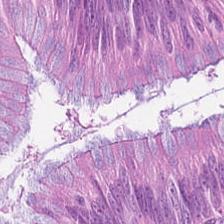Brightfield; H&E stain.
Q: What is the predominant tissue type?
A: The field shows colorectal adenocarcinoma epithelium.
